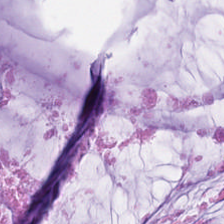Stain: H&E-stained tissue section.
Tissue type: extracellular mucin.
